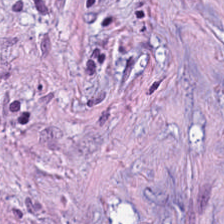Tissue class = cancer-associated stroma.
